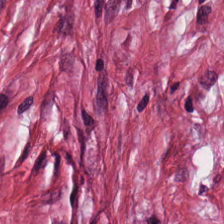224×224 px patch. Hematoxylin-and-eosin stained section. Showing cancer-associated stroma.
